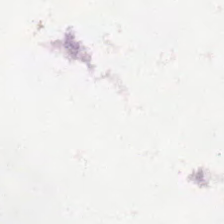Hematoxylin and eosin. Brightfield microscopy — Q: What does this patch show?
A: The field shows background.
